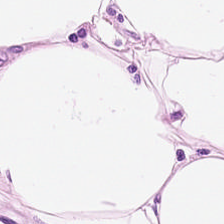Tissue = adipose tissue.
